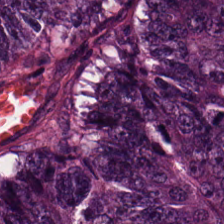Q: What tissue is shown?
A: Malignant epithelium.
